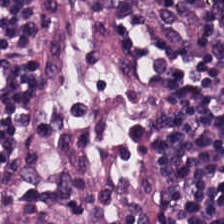H&E stain.
Tissue = lymphocyte aggregate.
